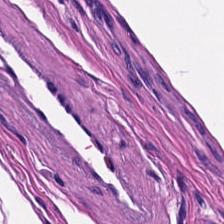H&E stain · whole-slide-image patch · 224×224 pixel tile. Q: What tissue type is shown here?
A: This is smooth-muscle tissue.
